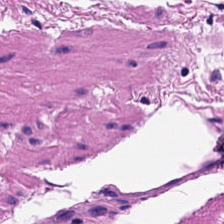FFPE. Hematoxylin and eosin. Histology → smooth-muscle tissue.
